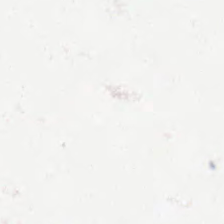Hematoxylin and eosin.
Impression — background (no tissue).
